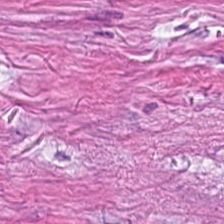Hematoxylin and eosin. Showing desmoplastic stroma.
